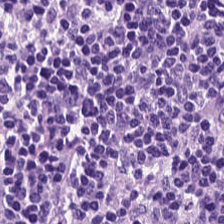Hematoxylin-and-eosin stained section.
The predominant tissue is lymphocyte aggregate.
